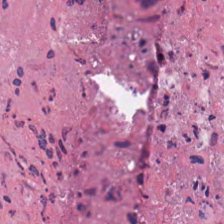0.5 µm per pixel; brightfield microscopy; hematoxylin-and-eosin stained section. Tissue — debris.
